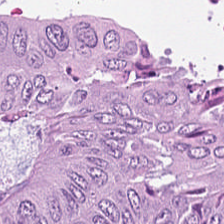20× equivalent magnification · brightfield · hematoxylin-and-eosin stained section — Q: What is shown here?
A: The field shows malignant epithelium.
